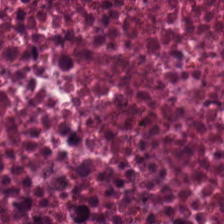Hematoxylin-and-eosin stained section — Impression — necrotic debris.
